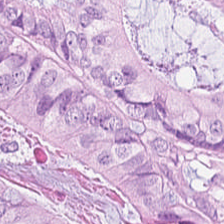H&E — {"tissue_type": "malignant epithelium"}
